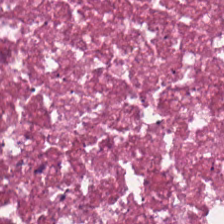H&E-stained tissue section — Predominantly necrotic debris.
